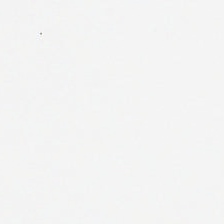No tissue present; background only.
